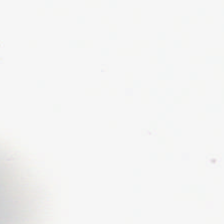H&E stain.
{"content": "background"}
